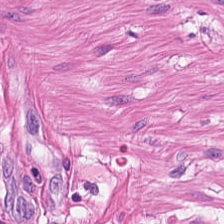0.5 microns per pixel. Formalin-fixed paraffin-embedded section. H&E-stained tissue section.
Q: What does this patch show?
A: This is smooth-muscle tissue.
